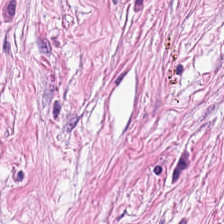224×224 px tile · hematoxylin-and-eosin stained section · 0.5 µm/px. {"tissue_type": "desmoplastic stroma"}
